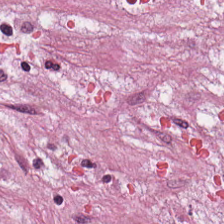H&E; brightfield microscopy.
Q: What tissue type is shown here?
A: The field shows desmoplastic stroma.
